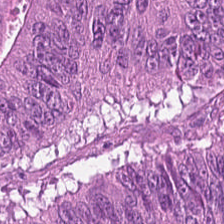WSI patch. 224×224 px tile. H&E. Malignant epithelium.
